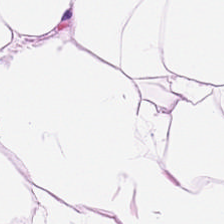Stain: H&E stain.
Tissue class: adipose.
